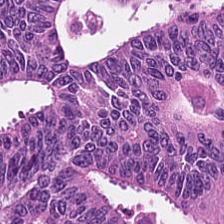WSI patch; H&E-stained tissue section; FFPE.
Q: What does this patch show?
A: The field shows colorectal adenocarcinoma.
